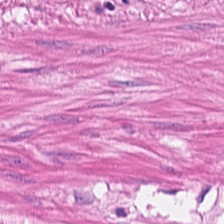Tissue class = muscularis.
